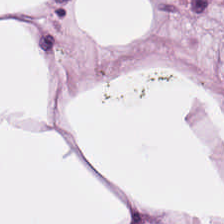Hematoxylin-and-eosin stained section.
Q: What does this patch show?
A: This is adipocytes.
